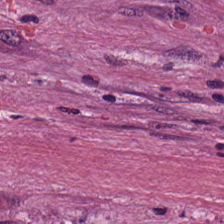Hematoxylin-and-eosin section: tumor-associated stroma.
